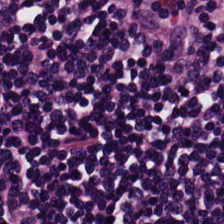H&E stain. The predominant tissue is lymphocyte aggregate.
